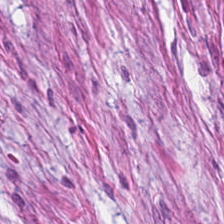H&E. Tissue class — desmoplastic stroma.
